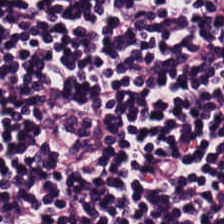H&E stain.
Q: What tissue is shown?
A: The field shows lymphocytes.
